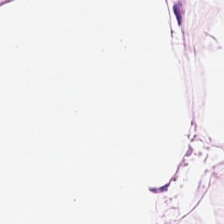H&E. The tissue class is adipose tissue.
